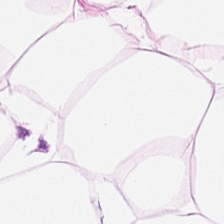Hematoxylin-and-eosin stained section. Predominantly adipose.
